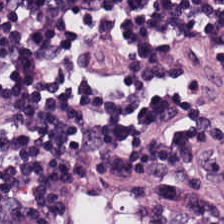H&E. This field is lymphoid infiltrate.
